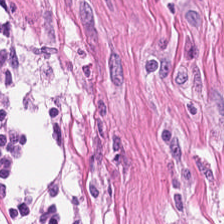0.5 µm per pixel · hematoxylin-and-eosin stained section · FFPE tissue section — Classification = smooth muscle.
